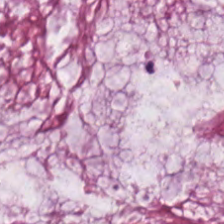Stain: hematoxylin and eosin.
Tissue class: extracellular mucin.
